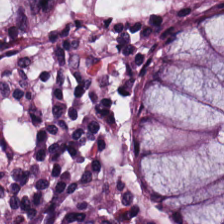H&E-stained tissue section showing normal colon mucosa.
